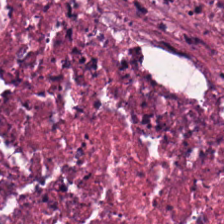Stain: H&E stain.
Classification: necrotic debris.
